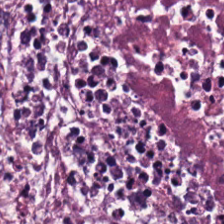Stain: hematoxylin-and-eosin stained section.
Predominant tissue: debris.
